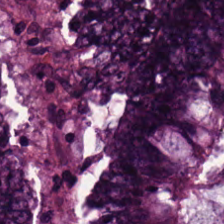Stain: hematoxylin and eosin.
Classification: colorectal adenocarcinoma.
